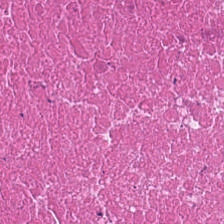H&E stain — Impression → necrotic debris.
